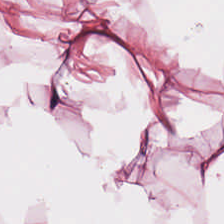Hematoxylin and eosin · 224×224 px tile · FFPE tissue section — Histology — adipose tissue.
